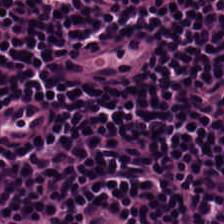Stain: hematoxylin and eosin.
Tissue: lymphocytes.
